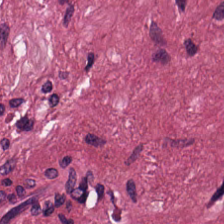Hematoxylin and eosin; FFPE. The tissue is desmoplastic stroma.
